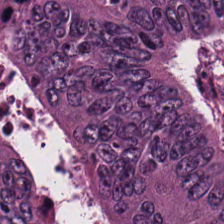Q: What is shown in this field?
A: It is adenocarcinoma.
